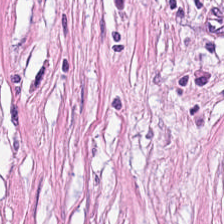H&E patch showing desmoplastic stroma.
